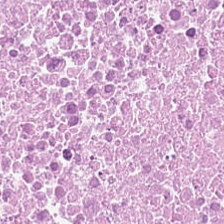H&E stain. FFPE — The predominant tissue is cellular debris.
